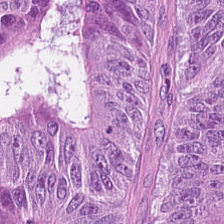Hematoxylin and eosin. FFPE tissue section. Tissue type — colorectal adenocarcinoma.
